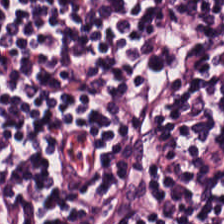Hematoxylin and eosin — Showing lymphocytic infiltrate.
